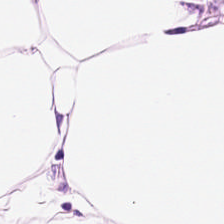Stain: H&E stain.
Tissue type: fat tissue.
